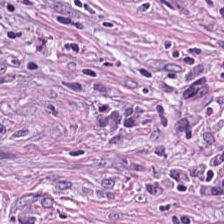Hematoxylin and eosin — The tissue here is cancer-associated stroma.
